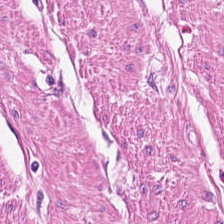H&E stain. Q: What is the predominant tissue type?
A: Muscularis.
